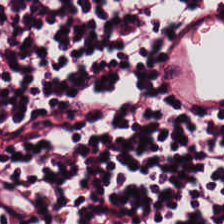Tissue: lymphocytic infiltrate.
